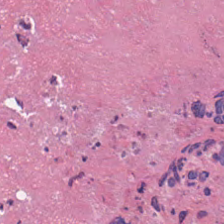Hematoxylin and eosin — Tissue class: debris.
